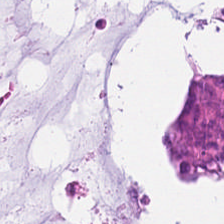Q: What tissue is shown?
A: It is mucin.
